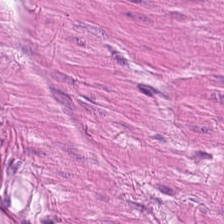H&E. Q: What type of tissue is this?
A: Muscularis.
